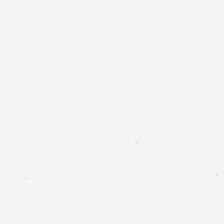0.5 µm/px. H&E.
{"content": "background (no tissue)"}
